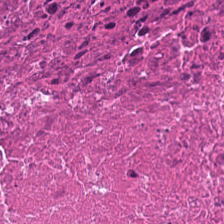H&E stain. Showing debris.
